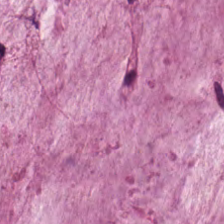H&E-stained tissue section · brightfield microscopy · FFPE.
Impression — mucus.
